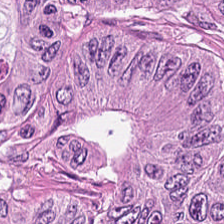Hematoxylin and eosin.
Malignant epithelium.
